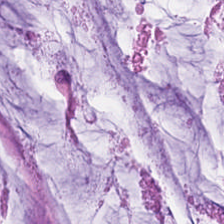Hematoxylin-and-eosin stained section.
Tissue type — extracellular mucin.
